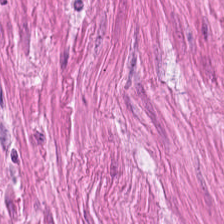Hematoxylin and eosin.
This patch shows smooth-muscle tissue.
